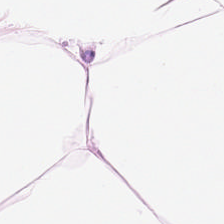Brightfield · H&E stain — Q: Identify the tissue.
A: It is adipose tissue.
